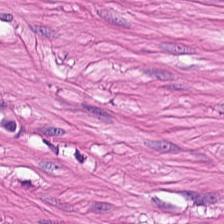Smooth-muscle tissue.
